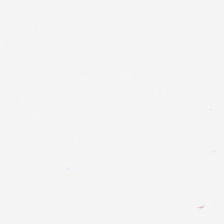H&E. Q: What is shown here?
A: Empty background.
